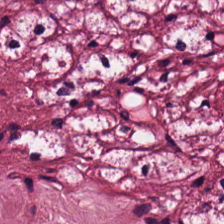Hematoxylin and eosin · FFPE tissue section. Tissue type — desmoplastic stroma.
